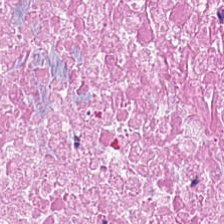Predominant tissue: necrotic debris.
